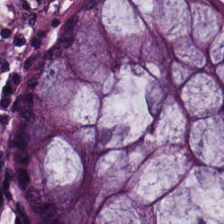Stain: H&E stain.
Preparation: FFPE tissue section.
Acquisition: WSI patch.
Tissue: benign colonic mucosa.
